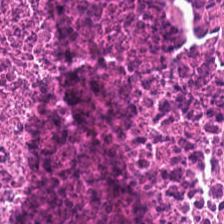224×224 px tile; hematoxylin-and-eosin stained section — Q: What tissue is shown?
A: It is cellular debris.
